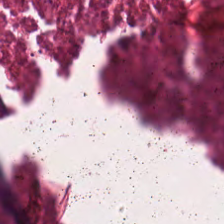WSI patch · H&E — The tissue is cellular debris.
